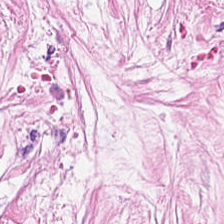H&E. This patch shows tumor stroma.
